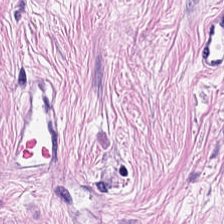Hematoxylin-and-eosin section: cancer-associated stroma.
